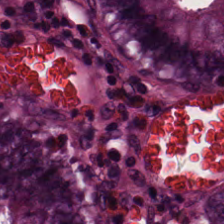H&E-stained tissue section · 224×224 px tile · whole-slide-image patch.
{"tissue_type": "normal colonic mucosa"}
